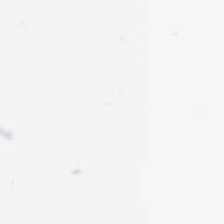Q: What is shown here?
A: This is background (no tissue).
